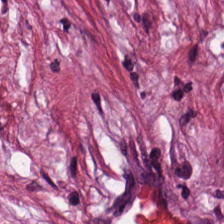H&E stain.
{"tissue_type": "desmoplastic stroma"}
